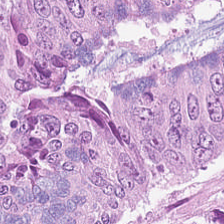H&E-stained section; the field shows colorectal adenocarcinoma epithelium.
